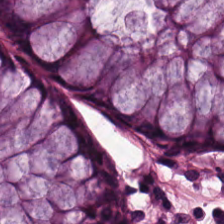Stain: H&E.
Tissue class: benign colonic mucosa.
